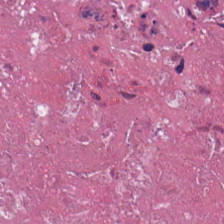Stain: H&E.
Predominant tissue: necrotic debris.
